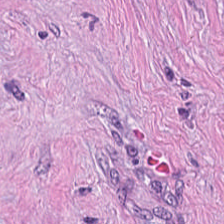H&E.
Q: What is the predominant tissue type?
A: Tumor stroma.
